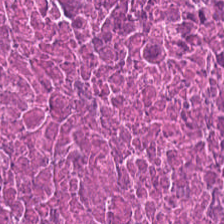H&E stain.
Tissue class: necrotic debris.
